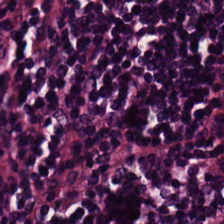H&E-stained tissue section — Q: Classify this patch.
A: It is lymphocyte aggregate.
